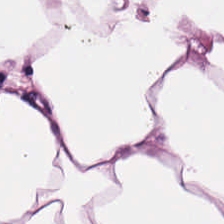The tissue type is adipose tissue.
